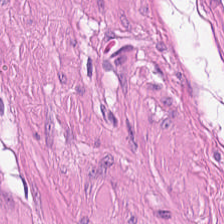Stain: H&E-stained tissue section.
Tissue class: smooth muscle.
